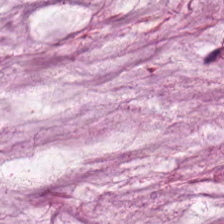H&E.
Classification: mucus.
